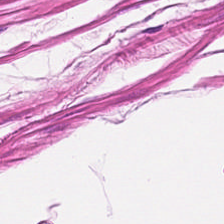Stain: hematoxylin and eosin.
Acquisition: whole-slide-image patch.
Tissue type: smooth-muscle tissue.
